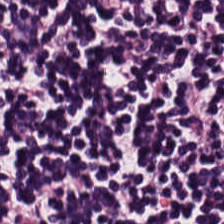Tissue: lymphoid infiltrate.
